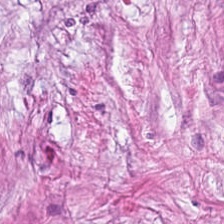H&E-stained tissue section — Finding → desmoplastic stroma.
